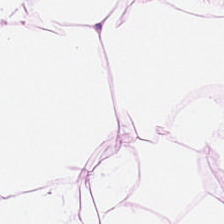H&E stain; 224×224 pixel tile. Q: Identify the tissue.
A: This is fat tissue.
